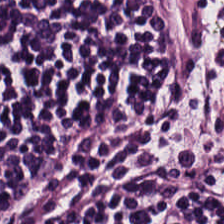H&E-stained tissue section. Whole-slide-image patch — Predominantly lymphocytic infiltrate.
